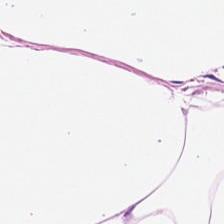Hematoxylin and eosin; 224×224 px tile. Predominantly adipocytes.
